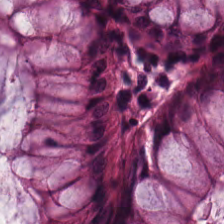Hematoxylin-and-eosin stained section. WSI patch — Predominantly normal colon mucosa.
